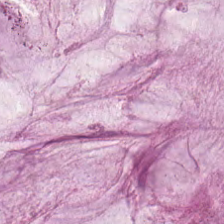Q: Identify the tissue.
A: Extracellular mucin.
